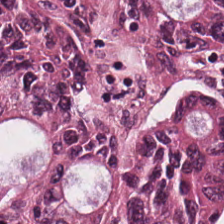224×224 px tile. 0.5 microns per pixel. H&E-stained tissue section.
Tissue — colorectal adenocarcinoma.
